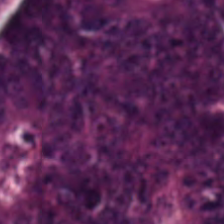Hematoxylin and eosin — This field is colorectal adenocarcinoma epithelium.
